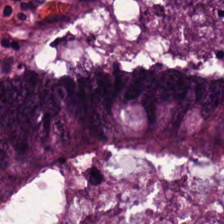FFPE tissue section. H&E-stained tissue section.
Malignant epithelium.
